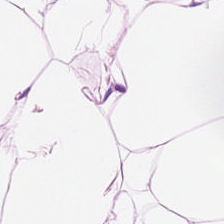Stain: H&E.
Tissue type: adipocytes.
